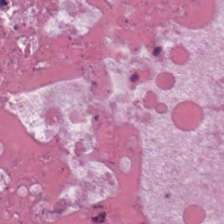224×224 px patch · brightfield microscopy · hematoxylin-and-eosin stained section. Q: What does this patch show?
A: This is cellular debris.
